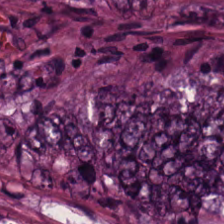Brightfield; H&E; formalin-fixed paraffin-embedded section — The predominant tissue is adenocarcinoma.
